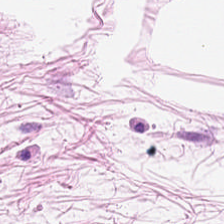H&E-stained tissue section. Q: What is shown in this field?
A: Adipose.
